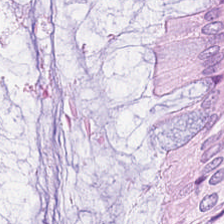H&E · 0.5 µm per pixel · 224×224 px patch. Q: What type of tissue is this?
A: Normal colonic mucosa.
